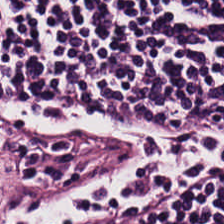0.5 microns per pixel; H&E-stained tissue section; 224×224 pixel tile. Finding — lymphocyte aggregate.
